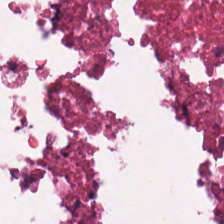FFPE tissue section; H&E stain; whole-slide-image patch.
Finding → necrotic debris.
